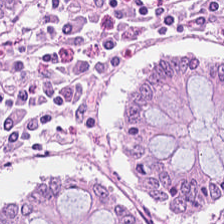This patch shows non-neoplastic colon mucosa.
